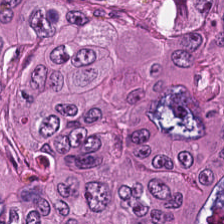Hematoxylin-and-eosin stained section.
The predominant tissue is colorectal adenocarcinoma epithelium.
